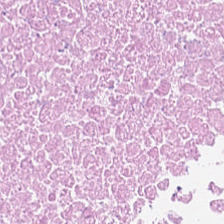Q: What does this patch show?
A: It is debris.
